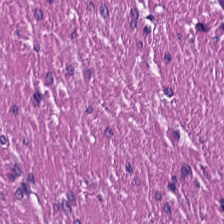Hematoxylin-and-eosin section: smooth muscle.
